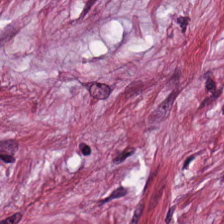H&E-stained tissue section — Q: What is shown here?
A: It is tumor stroma.
